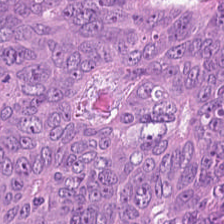H&E stain; 20× equivalent magnification — The tissue is tumor epithelium.
